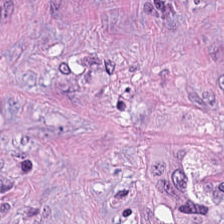Stain: H&E stain.
Tissue class: desmoplastic stroma.
